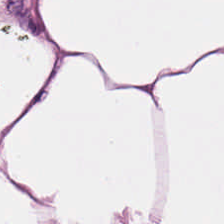Q: What is shown in this field?
A: This is adipose.
